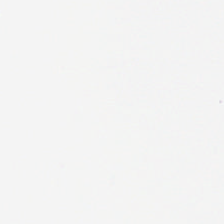H&E; 224×224 pixel tile.
Q: Classify this patch.
A: It is background (no tissue).
